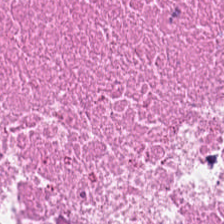Hematoxylin-and-eosin stained section. The predominant tissue is debris.
